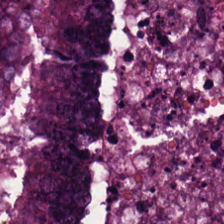H&E. Q: What is shown here?
A: The field shows malignant epithelium.
